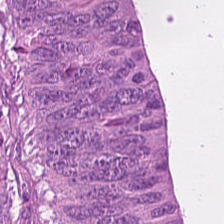Q: What is the predominant tissue type?
A: It is colorectal adenocarcinoma epithelium.
